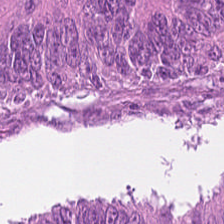WSI patch; 20× equivalent magnification; H&E stain — The tissue here is colorectal adenocarcinoma.
